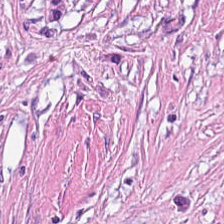H&E-stained tissue section.
Q: What does this patch show?
A: The field shows tumor stroma.
